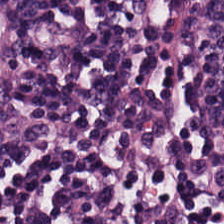H&E. The classification is lymphocytic infiltrate.
